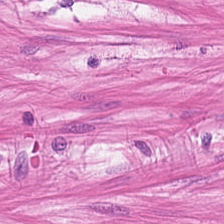Q: Identify the tissue.
A: It is muscularis.
